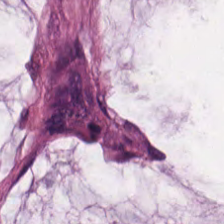Hematoxylin-and-eosin stained section.
Predominant tissue — extracellular mucin.
